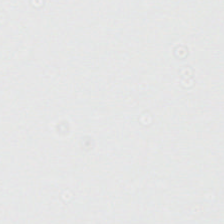Content — background (no tissue).
